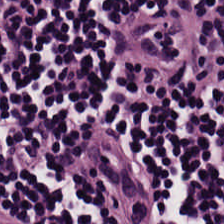Stain: H&E stain.
Tissue class: lymphocytes.
